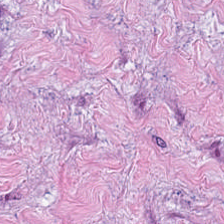The predominant tissue is tumor stroma.
